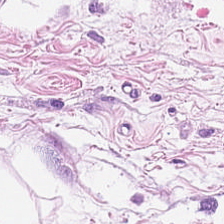Hematoxylin-and-eosin stained section. Predominantly fat tissue.
